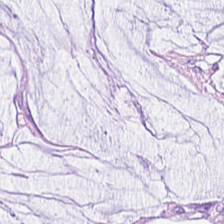H&E stain.
Impression → mucin.
